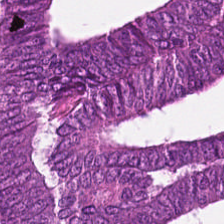Brightfield microscopy; hematoxylin and eosin; 0.5 microns per pixel. This field is colorectal adenocarcinoma.
